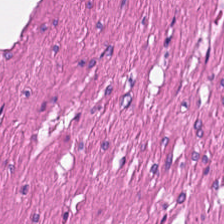Q: What is the predominant tissue type?
A: This is smooth-muscle tissue.
